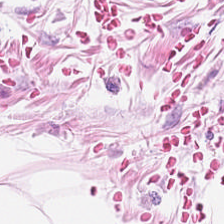Hematoxylin-and-eosin stained section.
{"tissue_type": "adipose tissue"}
